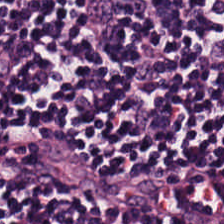H&E stain · 20× equivalent magnification.
Q: What is shown in this field?
A: This is lymphocyte aggregate.
